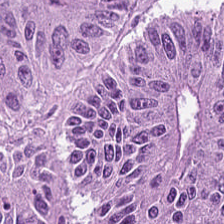Stain: hematoxylin-and-eosin stained section.
Acquisition: brightfield microscopy.
Tile size: 224×224 px tile.
Tissue type: tumor epithelium.
